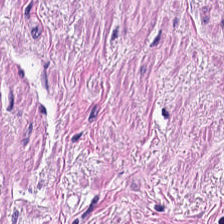Smooth-muscle tissue.
